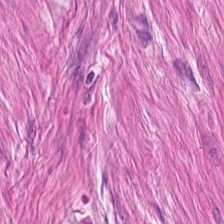Stain: hematoxylin and eosin.
Resolution: 0.5 µm/px.
Tissue type: smooth-muscle tissue.
